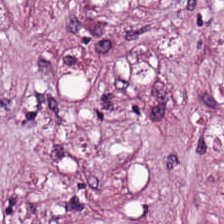Brightfield · 0.5 µm/px · hematoxylin-and-eosin stained section. This field is tumor-associated stroma.
